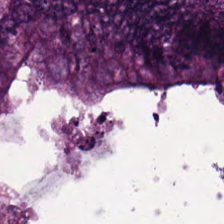H&E stain. Tissue class — colorectal adenocarcinoma.
